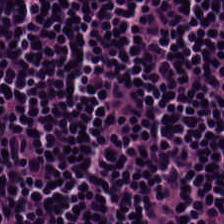The predominant tissue is lymphocytes.
